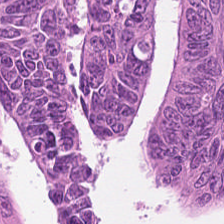Whole-slide-image patch · H&E.
Q: Classify this patch.
A: Colorectal adenocarcinoma.
